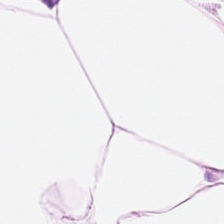0.5 µm per pixel. Hematoxylin and eosin.
Finding — fat tissue.
